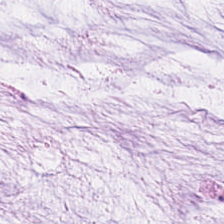H&E. Q: What does this patch show?
A: This is mucin.
